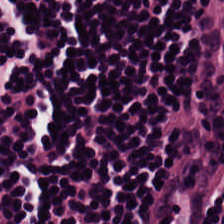H&E.
Q: What is shown here?
A: Lymphocytic infiltrate.
